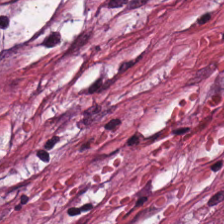Hematoxylin and eosin.
Tumor stroma.
